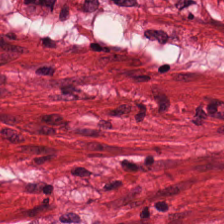Classification: smooth muscle.
